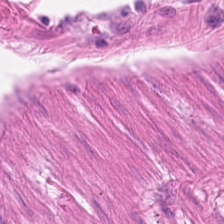H&E-stained tissue section.
Tissue class = smooth-muscle tissue.
